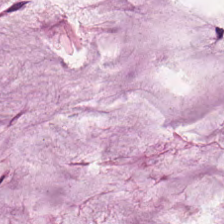0.5 microns per pixel; brightfield microscopy; H&E-stained tissue section. Showing extracellular mucin.
